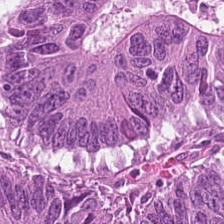Hematoxylin-and-eosin stained section — The tissue type is malignant epithelium.
